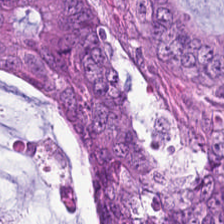H&E. Showing colorectal adenocarcinoma epithelium.
